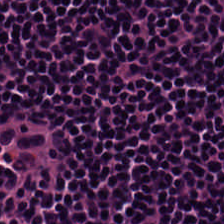Stain: H&E-stained tissue section.
Preparation: formalin-fixed paraffin-embedded section.
Predominant tissue: lymphocyte aggregate.
